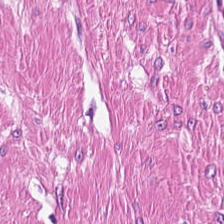H&E.
Impression → smooth-muscle tissue.
